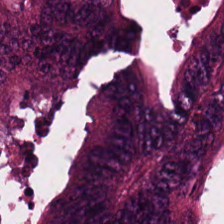H&E stain. Q: What tissue type is shown here?
A: Colorectal adenocarcinoma epithelium.
